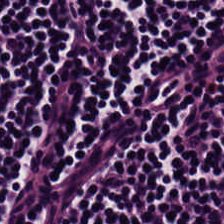H&E stain. 224×224 px tile.
The predominant tissue is lymphocyte aggregate.
